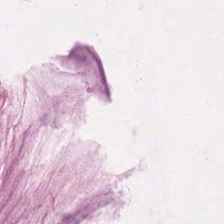0.5 µm per pixel; formalin-fixed paraffin-embedded section; H&E stain — Tissue class: mucin.
